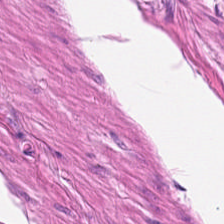Stain: H&E stain.
Tissue type: muscularis.
